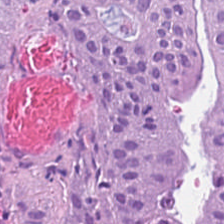H&E.
Predominant tissue — malignant epithelium.
